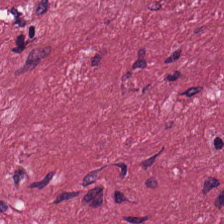FFPE tissue section; hematoxylin and eosin. The tissue here is tumor stroma.
